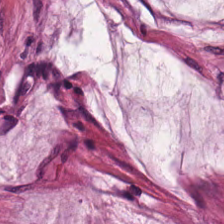20× equivalent magnification · H&E — The predominant tissue is mucin.
